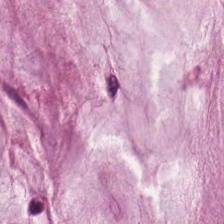Hematoxylin-and-eosin stained section.
Q: Classify this patch.
A: This is extracellular mucin.
